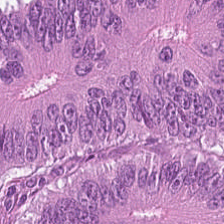Hematoxylin and eosin.
The tissue class is tumor epithelium.
